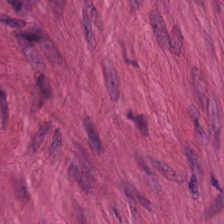{"tissue_type": "smooth-muscle tissue"}
